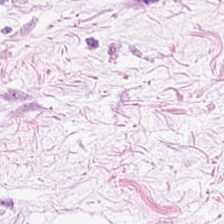0.5 µm/px · H&E-stained tissue section.
This patch shows adipose tissue.
